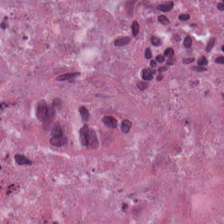H&E — cellular debris.
